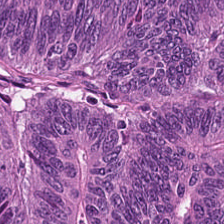H&E. Adenocarcinoma.
